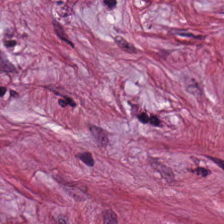The tissue here is desmoplastic stroma.
